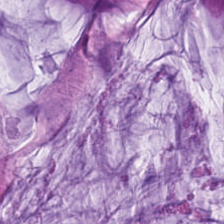H&E. {"tissue_type": "extracellular mucin"}
